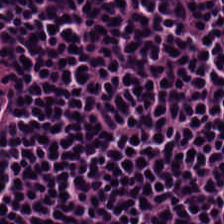Hematoxylin and eosin · 224×224 pixel tile — The predominant tissue is lymphoid infiltrate.
